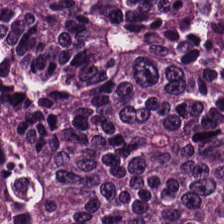0.5 µm per pixel; hematoxylin-and-eosin stained section.
This patch shows adenocarcinoma.
